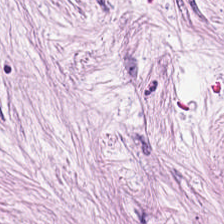Formalin-fixed paraffin-embedded section · H&E.
Tissue type = desmoplastic stroma.
